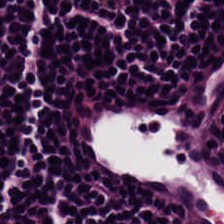224×224 px patch; hematoxylin-and-eosin stained section.
Tissue type — lymphocytic infiltrate.
